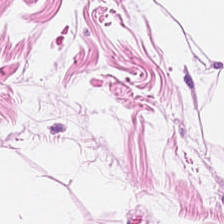H&E-stained tissue section. FFPE — Tissue class — fat tissue.
